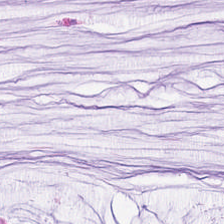Hematoxylin-and-eosin stained section. Formalin-fixed paraffin-embedded section. Q: Identify the tissue.
A: Extracellular mucin.
